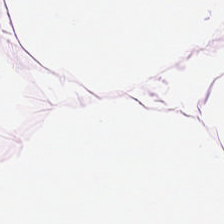Hematoxylin-and-eosin stained section — Q: Classify this patch.
A: It is adipose tissue.
